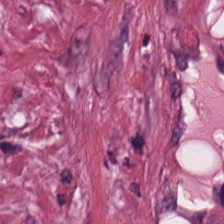H&E. 0.5 µm/px.
Predominant tissue = tumor-associated stroma.
